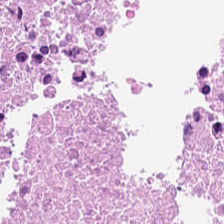H&E-stained tissue section — The predominant tissue is necrotic debris.
